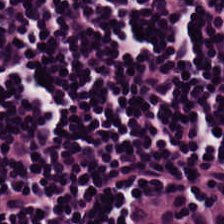Stain: H&E.
Tissue class: lymphocytes.
